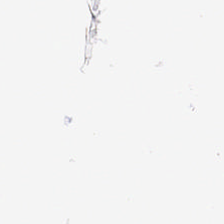Hematoxylin-and-eosin stained section — This field is background (no tissue).
